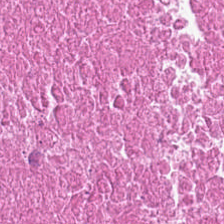Hematoxylin and eosin — This patch shows necrotic debris.
